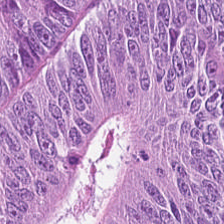H&E-stained tissue section — {"tissue_type": "tumor epithelium"}
